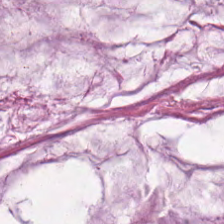H&E.
Predominantly mucin.
